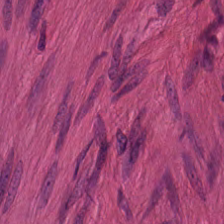H&E — smooth-muscle tissue.
